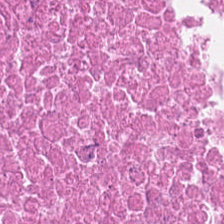Hematoxylin-and-eosin stained section. The predominant tissue is necrotic debris.
